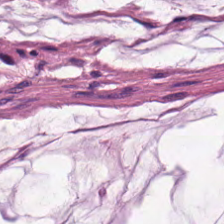Stain: hematoxylin and eosin.
Tissue class: mucin.
